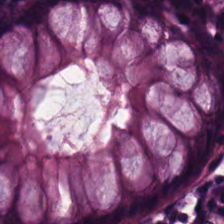Hematoxylin and eosin. 0.5 µm/px. Whole-slide-image patch. The predominant tissue is non-neoplastic colon mucosa.
